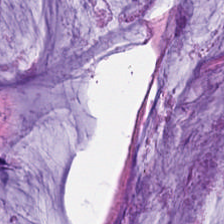Stain: hematoxylin and eosin.
Tile size: 224×224 px tile.
Classification: extracellular mucin.
